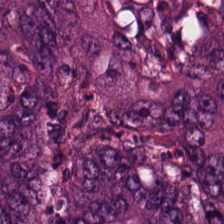Q: What tissue type is shown here?
A: The field shows colorectal adenocarcinoma.
